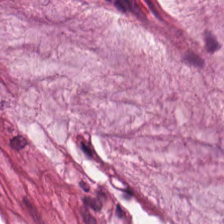H&E stain. Tissue type — mucin.
